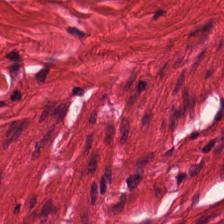{"tissue_type": "muscularis"}
